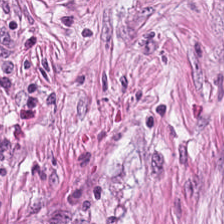H&E stain · whole-slide-image patch. Predominant tissue = tumor stroma.
